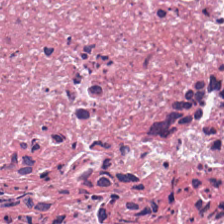Whole-slide-image patch. 224×224 px tile. H&E-stained tissue section.
Q: What type of tissue is this?
A: This is necrotic debris.
